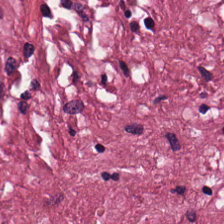Hematoxylin and eosin.
This field is tumor-associated stroma.
